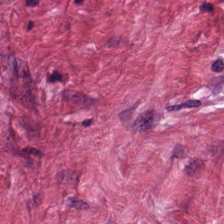Brightfield; hematoxylin and eosin — Predominantly desmoplastic stroma.
